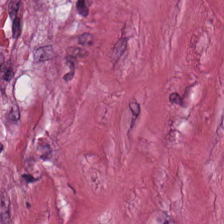The predominant tissue is tumor stroma.
